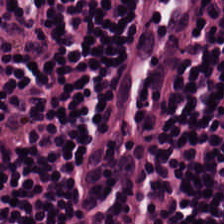224×224 pixel tile · hematoxylin-and-eosin stained section. This patch shows lymphocyte aggregate.
